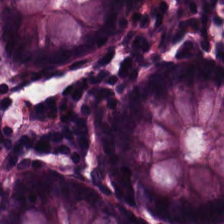H&E-stained tissue section.
Normal colonic mucosa.
